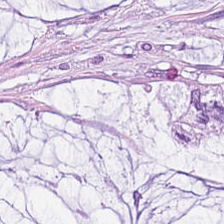H&E-stained tissue section.
Classification = extracellular mucin.
